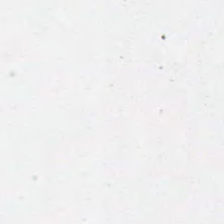Hematoxylin-and-eosin stained section; 0.5 µm/px; formalin-fixed paraffin-embedded section — No tissue present; background only.
